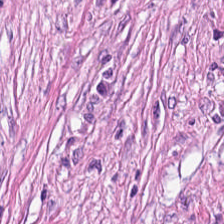Predominant tissue — desmoplastic stroma.
